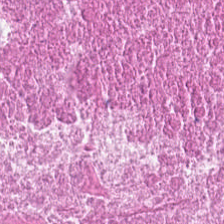Hematoxylin-and-eosin stained section; WSI patch.
{"tissue_type": "debris"}
